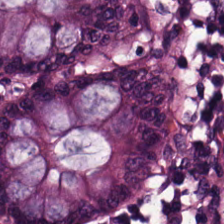Q: What is shown here?
A: Non-neoplastic colon mucosa.
